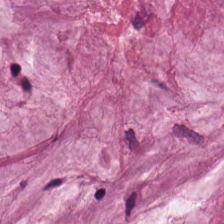Impression → mucus.
